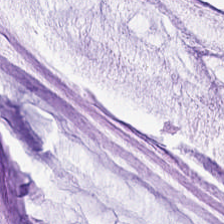Stain: H&E stain.
Resolution: 0.5 microns per pixel.
Tissue class: mucus.
